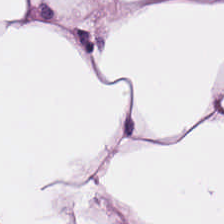Stain: H&E.
Predominant tissue: adipocytes.
